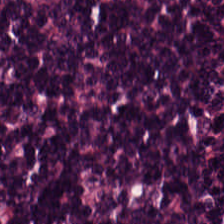Q: Classify this patch.
A: The field shows lymphocytes.
